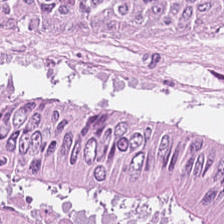H&E-stained tissue section showing tumor epithelium.
